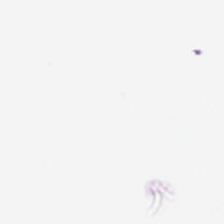Stain: hematoxylin and eosin.
Preparation: FFPE.
Classification: background (no tissue).
